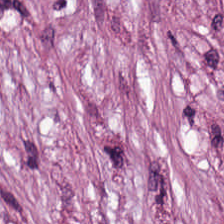H&E stain.
Predominant tissue = desmoplastic stroma.
